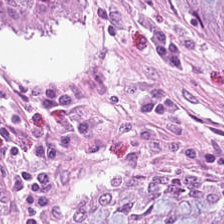H&E-stained tissue section — {"tissue_type": "benign colonic mucosa"}
